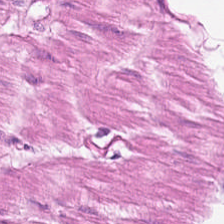Tissue class: muscularis.
